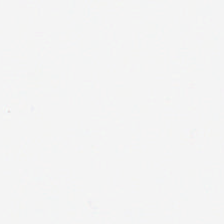This patch shows background (no tissue).
